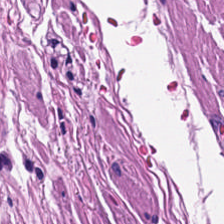224×224 pixel tile; hematoxylin and eosin.
Histology → muscularis.
